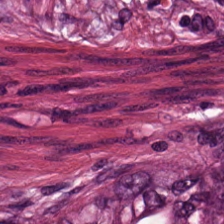Formalin-fixed paraffin-embedded section · hematoxylin-and-eosin stained section.
Classification = tumor stroma.
